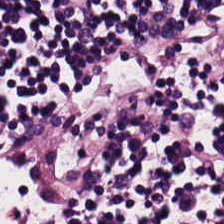Hematoxylin-and-eosin stained section · whole-slide-image patch · 0.5 microns per pixel — Tissue — lymphocytic infiltrate.
